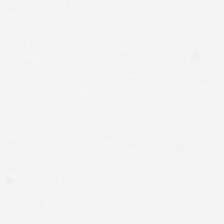Hematoxylin-and-eosin stained section · WSI patch · 0.5 microns per pixel — No tissue present; background only.
